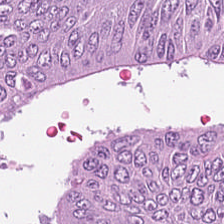Finding → colorectal adenocarcinoma.
